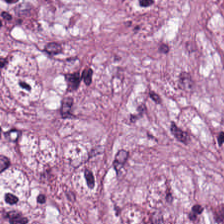Stain: hematoxylin-and-eosin stained section.
Predominant tissue: tumor-associated stroma.
